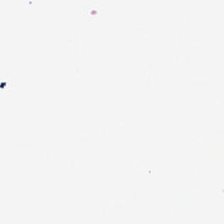224×224 pixel tile. Hematoxylin-and-eosin stained section — This patch shows empty background.
